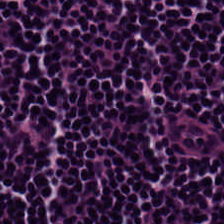H&E-stained tissue section.
Tissue: lymphocytic infiltrate.
